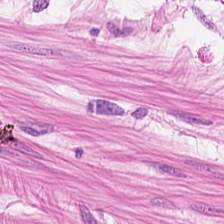Hematoxylin and eosin. The predominant tissue is smooth muscle.
